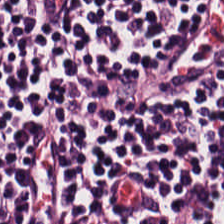0.5 microns per pixel; H&E stain. Showing lymphoid infiltrate.
